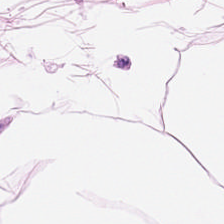0.5 µm/px · FFPE tissue section · hematoxylin and eosin. Histology — fat tissue.
